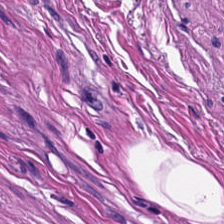H&E stain. 0.5 microns per pixel — This field is muscularis.
